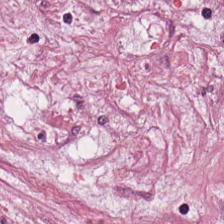Impression → tumor-associated stroma.
